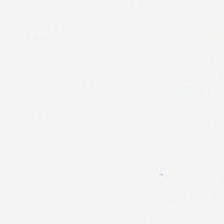{"content": "empty background"}
